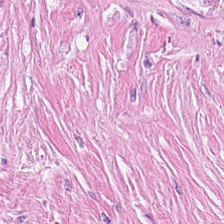Tissue — tumor-associated stroma.
